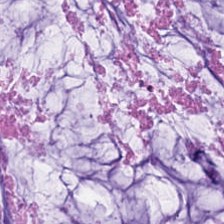Hematoxylin-and-eosin stained section — Predominant tissue: mucin.
